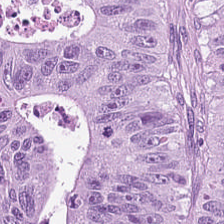Impression — malignant epithelium.
